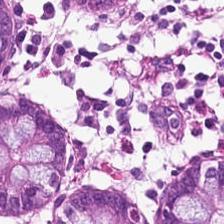Impression → normal colon mucosa.
